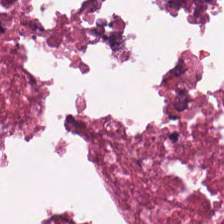Stain: H&E.
Classification: necrotic debris.
